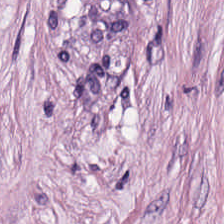Hematoxylin and eosin. This field is tumor stroma.
